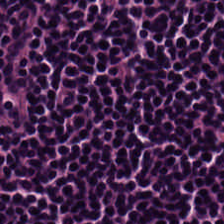H&E stain. Predominantly lymphocyte aggregate.
